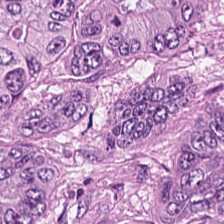Q: What tissue type is shown here?
A: It is colorectal adenocarcinoma.
